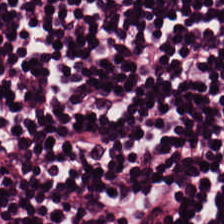WSI patch; hematoxylin and eosin; 0.5 µm/px. Impression → lymphocytes.
